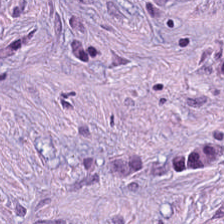H&E. 0.5 microns per pixel — {"tissue_type": "cancer-associated stroma"}
